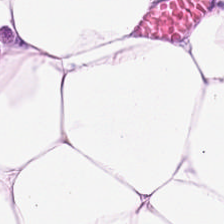H&E stain; whole-slide-image patch. Q: What is shown here?
A: It is adipocytes.
